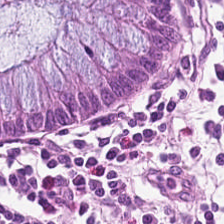Hematoxylin and eosin.
Showing normal colon mucosa.
